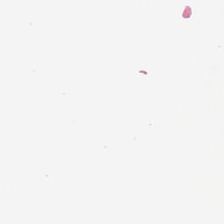Finding — background (no tissue).
